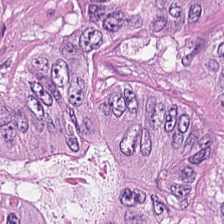Predominant tissue = tumor epithelium.
